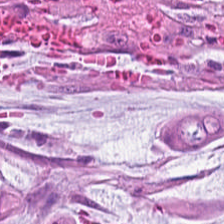WSI patch; H&E stain; 224×224 px tile — This field is extracellular mucin.
